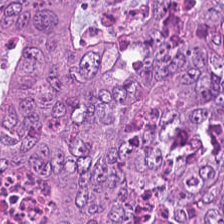Hematoxylin-and-eosin stained section; FFPE tissue section; 224×224 px tile. {"tissue_type": "malignant epithelium"}
